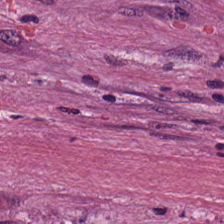20× equivalent magnification. FFPE tissue section. H&E.
The tissue type is tumor stroma.
